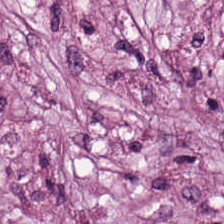Hematoxylin-and-eosin stained section — Predominant tissue = cancer-associated stroma.
